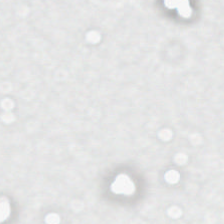Hematoxylin and eosin. No tissue present; background only.
